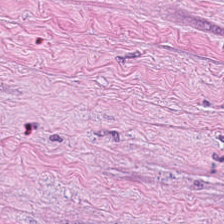Stain: hematoxylin-and-eosin stained section.
Tissue: tumor-associated stroma.
